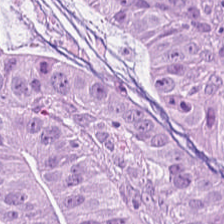Predominant tissue: colorectal adenocarcinoma epithelium.
